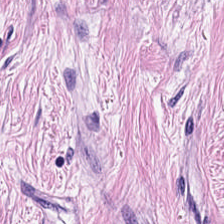Hematoxylin-and-eosin stained section. The predominant tissue is desmoplastic stroma.
